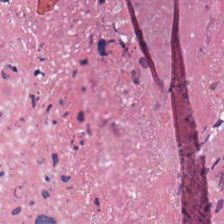H&E stain.
Q: Classify this patch.
A: Cellular debris.
